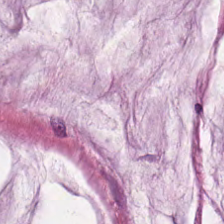This field is mucin.
